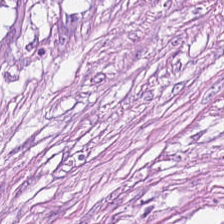H&E stain — Q: What is the predominant tissue type?
A: Tumor stroma.
